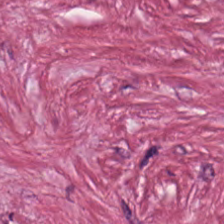H&E stain — Tissue type — cancer-associated stroma.
